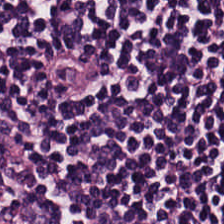Stain: hematoxylin-and-eosin stained section.
Classification: lymphocytes.
